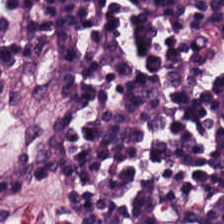Hematoxylin and eosin. The classification is lymphocyte aggregate.
